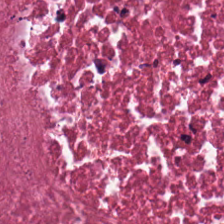Brightfield microscopy. H&E-stained tissue section.
Finding — necrotic debris.
